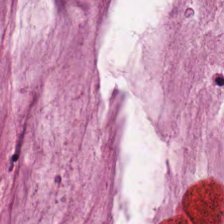Q: Identify the tissue.
A: The field shows mucin.
